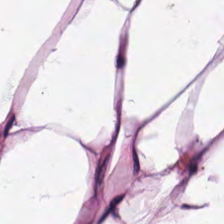FFPE tissue section · hematoxylin and eosin · brightfield microscopy — This patch shows fat tissue.
